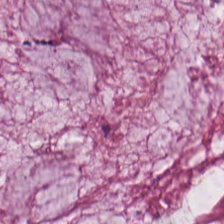H&E-stained tissue section · 224×224 px patch · whole-slide-image patch — Impression → extracellular mucin.
